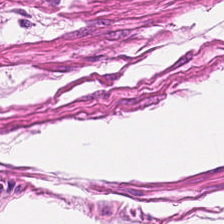Smooth-muscle tissue.
